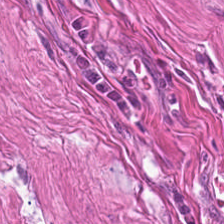Predominant tissue = smooth muscle.
